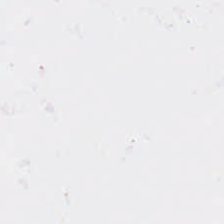H&E-stained tissue section · 0.5 µm per pixel — No tissue present; background only.
